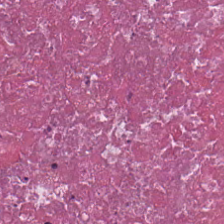Hematoxylin-and-eosin stained section. FFPE. Showing debris.
